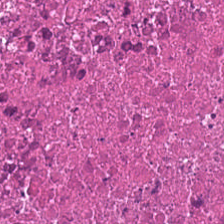The predominant tissue is necrotic debris.
